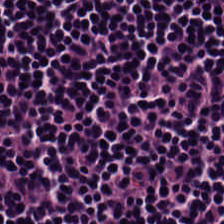Predominant tissue: lymphocytes.
